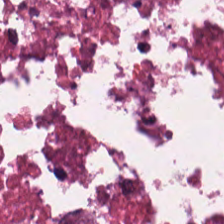Hematoxylin-and-eosin stained section. Predominantly debris.
